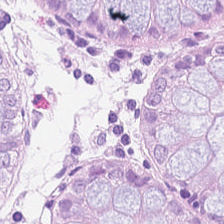WSI patch; H&E. The predominant tissue is non-neoplastic colon mucosa.
